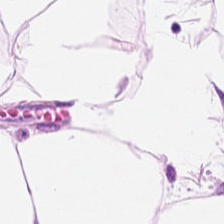Q: What tissue is shown?
A: It is fat tissue.
